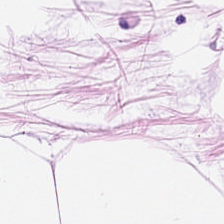H&E stain — Classification: adipocytes.
